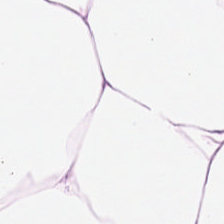H&E — Showing fat tissue.
